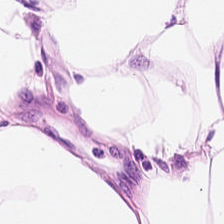H&E-stained tissue section; 0.5 µm/px.
Showing fat tissue.
